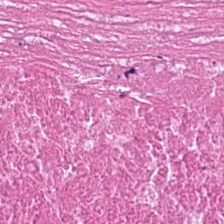H&E-stained tissue section. The tissue is cellular debris.
